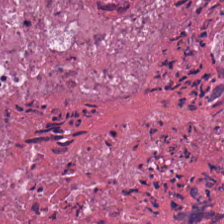Stain: H&E stain.
Classification: debris.
